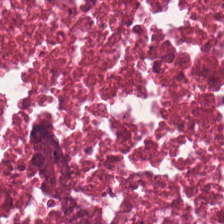H&E-stained tissue section; formalin-fixed paraffin-embedded section. Predominant tissue: debris.
